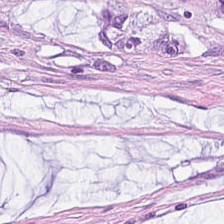Stain: hematoxylin-and-eosin stained section.
Tissue: mucin.
